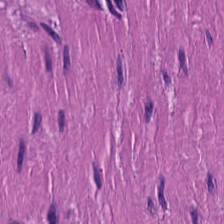This patch shows muscularis.
